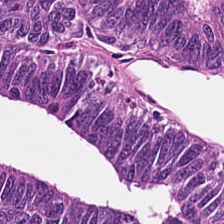H&E — tumor epithelium.
